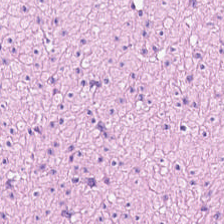Impression — smooth muscle.
